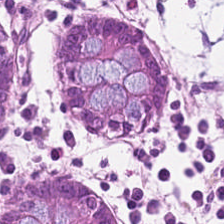H&E. Q: Identify the tissue.
A: Benign colonic mucosa.
